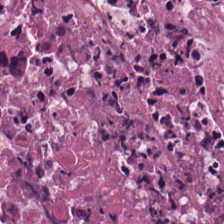Predominant tissue: cellular debris.
